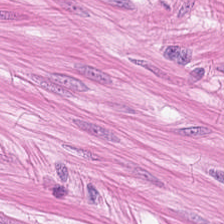224×224 px tile. Hematoxylin and eosin. Classification: smooth muscle.
